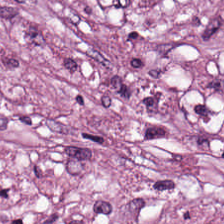224×224 px tile; hematoxylin and eosin.
This patch shows tumor stroma.
